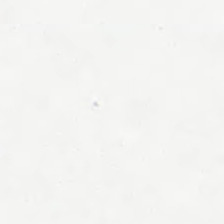Hematoxylin-and-eosin stained section. No tissue present; background only.
